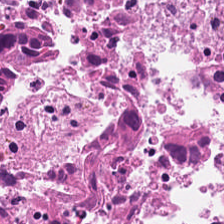H&E. FFPE tissue section. WSI patch.
{"tissue_type": "cellular debris"}
